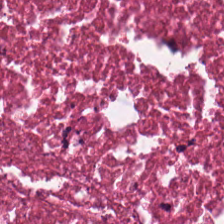Stain: H&E-stained tissue section.
Acquisition: brightfield.
Tissue class: cellular debris.
